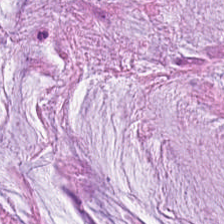Histology → mucus.
